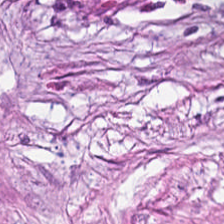H&E-stained tissue section; 224×224 px patch.
This field is desmoplastic stroma.
